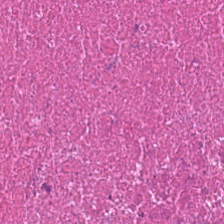FFPE tissue section · brightfield · H&E.
Showing debris.
